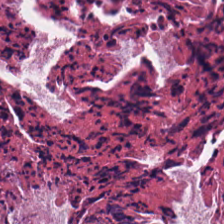H&E-stained tissue section showing debris.
